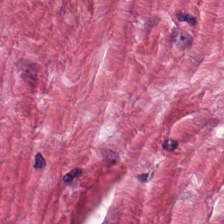Tissue class — desmoplastic stroma.
